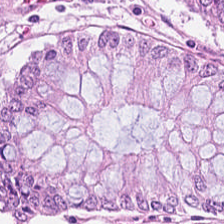Showing normal colonic mucosa.
